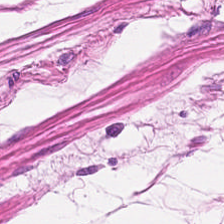Muscularis.
